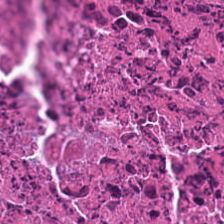Stain: hematoxylin-and-eosin stained section.
Classification: debris.
